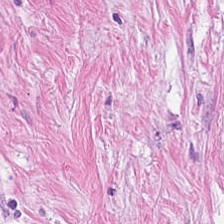Hematoxylin-and-eosin stained section. Tissue — tumor-associated stroma.
